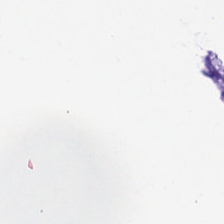Hematoxylin and eosin.
Empty field — background (no tissue).
